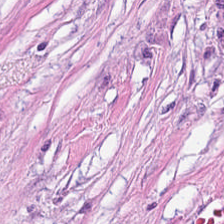Brightfield microscopy · H&E · formalin-fixed paraffin-embedded section — Tissue — cancer-associated stroma.
